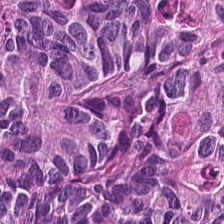Hematoxylin and eosin.
Tumor epithelium.
